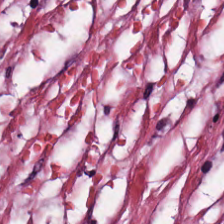Hematoxylin and eosin — Tissue — tumor stroma.
